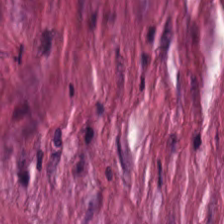{"tissue_type": "tumor stroma"}
